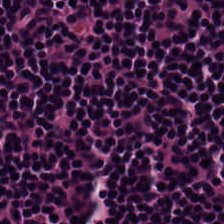The tissue here is lymphocyte aggregate.
